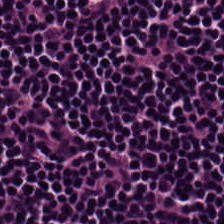Hematoxylin and eosin — Q: What tissue type is shown here?
A: This is lymphocytic infiltrate.
